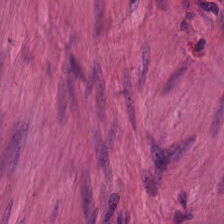Hematoxylin-and-eosin stained section. FFPE.
Predominantly muscularis.
